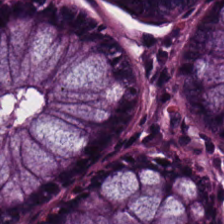Hematoxylin-and-eosin stained section.
This patch shows benign colonic mucosa.
